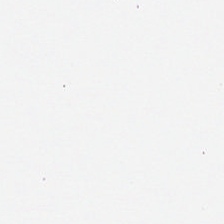Hematoxylin-and-eosin stained section. 0.5 microns per pixel. 224×224 px tile — Field content: background.
